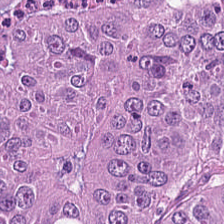H&E.
{"tissue_type": "malignant epithelium"}
